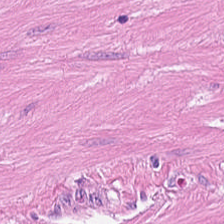Tissue: smooth muscle.
